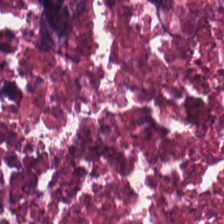H&E stain — Tissue type = debris.
